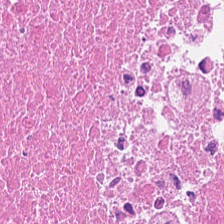Hematoxylin-and-eosin stained section. Tissue = debris.
